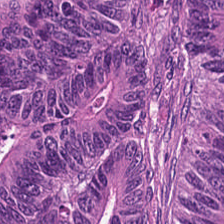Q: What is shown in this field?
A: The field shows colorectal adenocarcinoma.
